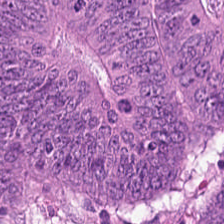H&E. 224×224 pixel tile. Q: Classify this patch.
A: This is colorectal adenocarcinoma epithelium.
